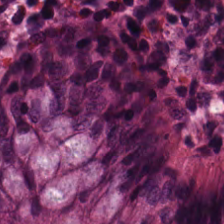Q: Identify the tissue.
A: This is normal colon mucosa.
